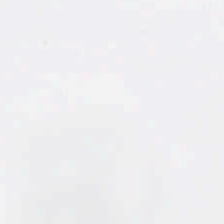0.5 microns per pixel · H&E-stained tissue section — Field content: background (no tissue).
